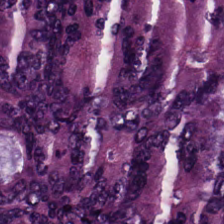H&E stain. This field is malignant epithelium.
